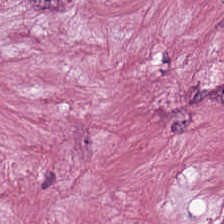The tissue class is tumor-associated stroma.
